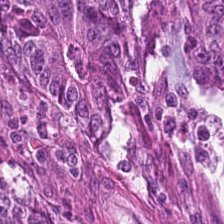H&E stain. This field is adenocarcinoma.
